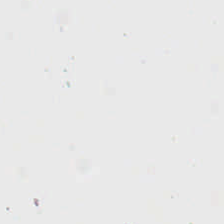H&E; 224×224 px tile.
Q: What is shown in this field?
A: This is empty background.
